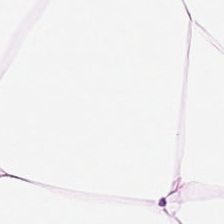Brightfield microscopy; H&E stain.
This patch shows adipose.
